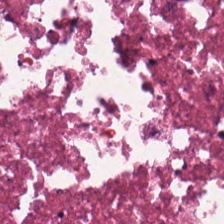Stain: hematoxylin and eosin.
Tissue: debris.
